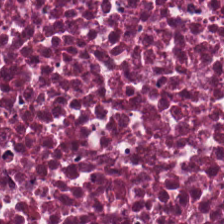Stain: hematoxylin and eosin.
Resolution: 0.5 µm per pixel.
Tissue type: cellular debris.
